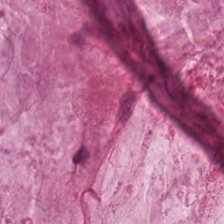Hematoxylin-and-eosin stained section; 224×224 pixel tile.
Impression → extracellular mucin.
